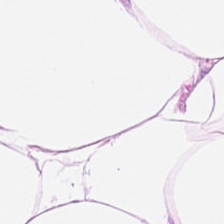H&E. Showing adipose tissue.
